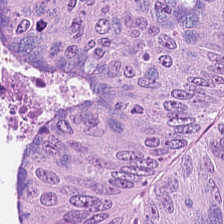H&E stain. FFPE.
Tissue — tumor epithelium.
